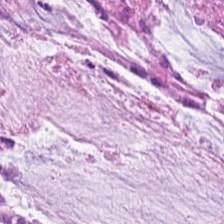Formalin-fixed paraffin-embedded section. H&E. 224×224 pixel tile — Tissue: mucin.
